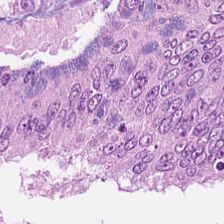H&E-stained tissue section. 224×224 px patch — Impression → colorectal adenocarcinoma epithelium.
